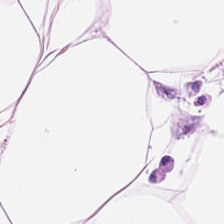Classification = adipocytes.
